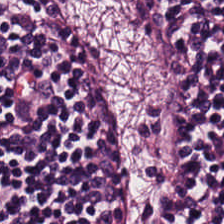The tissue here is lymphocyte aggregate.
